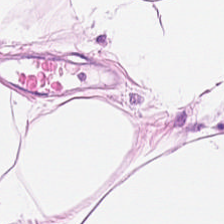H&E — Tissue — fat tissue.
